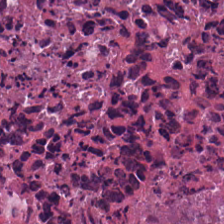Stain: hematoxylin and eosin.
Tissue class: cellular debris.
